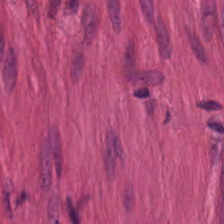H&E — Smooth muscle.
